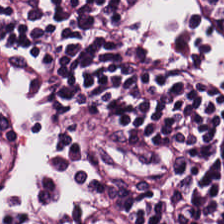Stain: H&E.
Preparation: FFPE tissue section.
Classification: lymphocyte aggregate.
